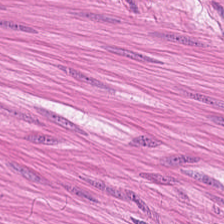H&E-stained tissue section.
The tissue type is muscularis.
